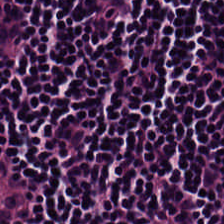Tissue class = lymphocyte aggregate.
